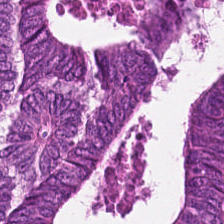H&E-stained tissue section · FFPE — Classification — colorectal adenocarcinoma epithelium.
